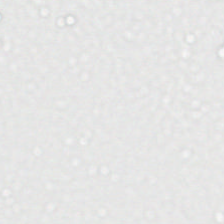Empty field — no tissue.
